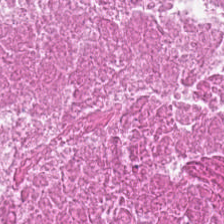Brightfield. H&E stain. 0.5 µm/px. Q: Classify this patch.
A: Debris.
